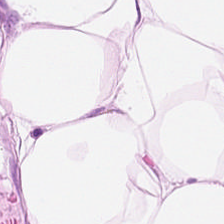Hematoxylin-and-eosin stained section.
This patch shows fat tissue.
